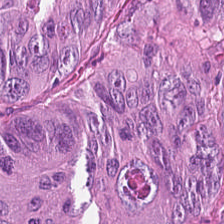Brightfield microscopy · 0.5 microns per pixel · hematoxylin-and-eosin stained section. Finding — adenocarcinoma.
